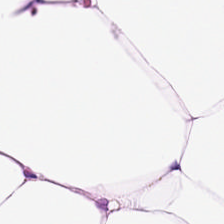Q: What tissue is shown?
A: This is adipocytes.
